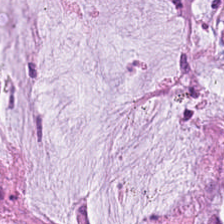Stain: H&E.
Classification: extracellular mucin.
